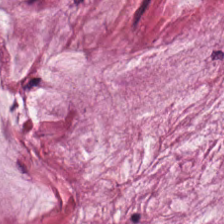224×224 pixel tile; hematoxylin and eosin; 0.5 µm per pixel. This field is mucus.
